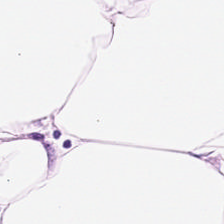224×224 pixel tile · H&E. Fat tissue.
